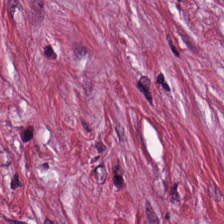Formalin-fixed paraffin-embedded section; hematoxylin-and-eosin stained section; 224×224 px tile — Tissue type: cancer-associated stroma.
